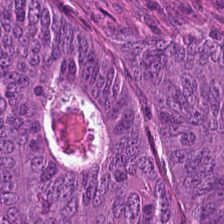H&E-stained tissue section; 224×224 px patch; 0.5 microns per pixel. The predominant tissue is colorectal adenocarcinoma.
